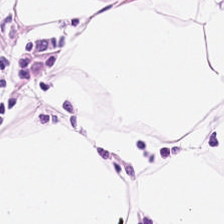Hematoxylin-and-eosin stained section. The tissue is adipocytes.
